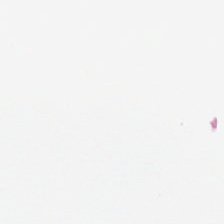Hematoxylin and eosin; 224×224 px patch. {"content": "background (no tissue)"}
